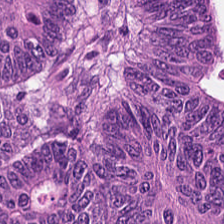FFPE tissue section. 224×224 px patch. H&E. The predominant tissue is colorectal adenocarcinoma epithelium.
